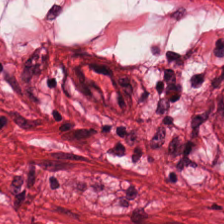H&E-stained tissue section — Histology — smooth-muscle tissue.
